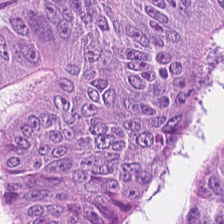H&E. The tissue class is adenocarcinoma.
